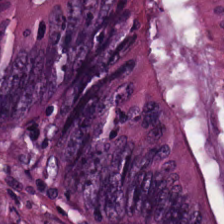H&E.
This field is colorectal adenocarcinoma epithelium.
